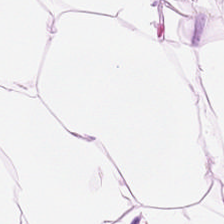{"tissue_type": "fat tissue"}
